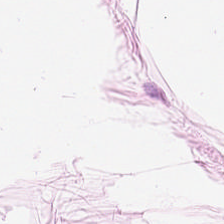224×224 px tile · hematoxylin-and-eosin stained section — Q: What tissue is shown?
A: Adipocytes.
